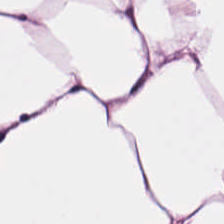H&E stain · brightfield — Tissue class: fat tissue.
